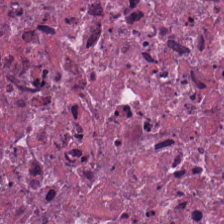H&E-stained tissue section.
Cellular debris.
